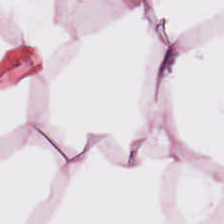Formalin-fixed paraffin-embedded section; H&E stain.
Tissue class: adipocytes.
